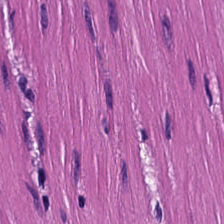224×224 px patch; 0.5 µm per pixel; H&E stain — Predominant tissue — smooth muscle.
